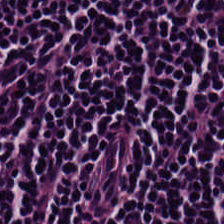H&E — Histology → lymphoid infiltrate.
